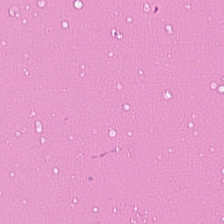H&E.
Predominant tissue: debris.
